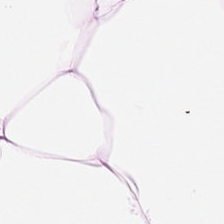H&E stain.
Q: What is shown here?
A: Adipose tissue.
